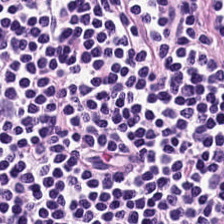Hematoxylin-and-eosin stained section.
Q: What is shown in this field?
A: This is lymphocytes.
